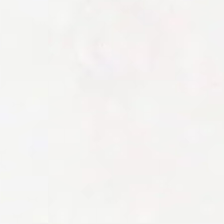This patch shows no tissue.
